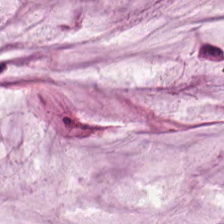Hematoxylin and eosin. Formalin-fixed paraffin-embedded section. 20× equivalent magnification — Finding — extracellular mucin.
